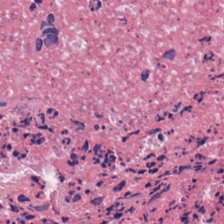WSI patch. FFPE tissue section. Hematoxylin-and-eosin stained section.
Tissue class: debris.
